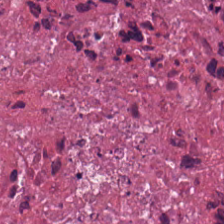H&E stain. The tissue here is cellular debris.
